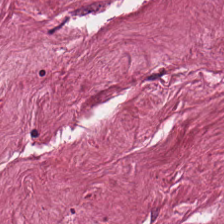20× equivalent magnification. FFPE. Hematoxylin-and-eosin stained section. This patch shows cancer-associated stroma.
